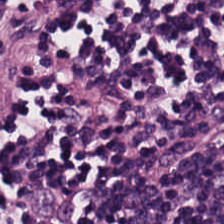0.5 µm/px · hematoxylin-and-eosin stained section — {"tissue_type": "lymphoid infiltrate"}
